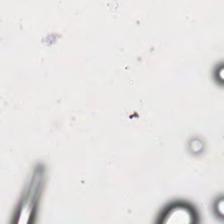Hematoxylin and eosin · FFPE. No tissue.
